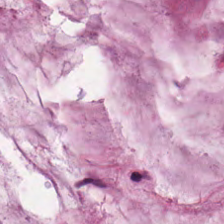H&E. Formalin-fixed paraffin-embedded section.
The classification is mucus.
